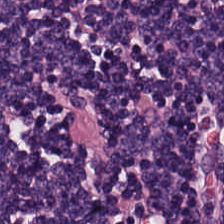FFPE tissue section. Hematoxylin-and-eosin stained section — Tissue — lymphocyte aggregate.
